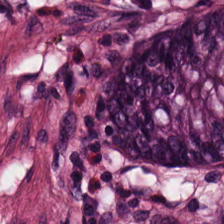Stain: hematoxylin-and-eosin stained section.
Classification: normal colon mucosa.
